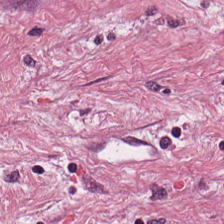H&E-stained tissue section — The tissue class is desmoplastic stroma.
